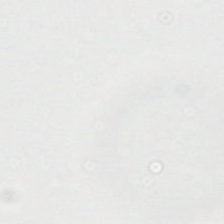Hematoxylin and eosin — The content is background.
